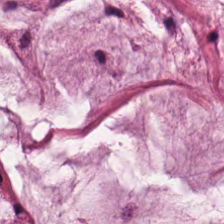Tissue = extracellular mucin.
